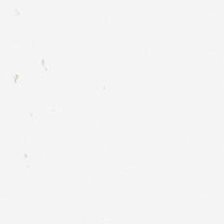H&E — This field is background (no tissue).
